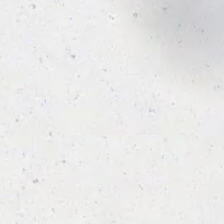WSI patch · hematoxylin-and-eosin stained section · 224×224 px patch.
This patch shows background (no tissue).
